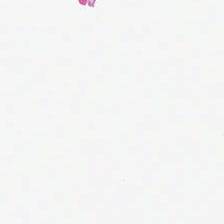Stain: H&E.
Tile size: 224×224 px tile.
Content: background.
